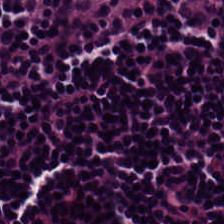H&E stain · 224×224 px tile — Lymphocytic infiltrate.
